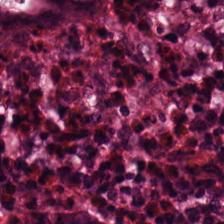Tissue class — benign colonic mucosa.
